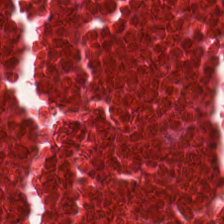Stain: H&E-stained tissue section.
Tissue class: debris.
